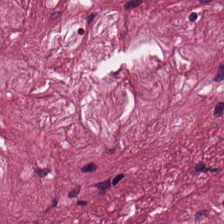H&E-stained tissue section.
This patch shows tumor-associated stroma.
